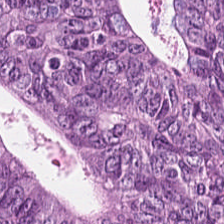H&E stain.
Finding — colorectal adenocarcinoma epithelium.
